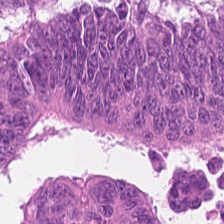H&E. WSI patch. 224×224 pixel tile. The predominant tissue is colorectal adenocarcinoma.
